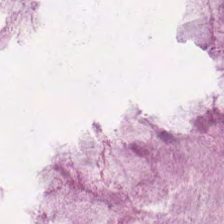Stain: hematoxylin and eosin.
Tissue: extracellular mucin.
